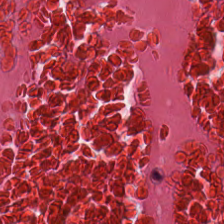0.5 microns per pixel. H&E.
Showing necrotic debris.
